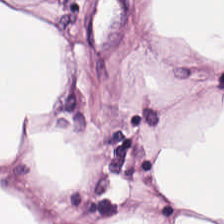H&E-stained tissue section; 0.5 µm per pixel. Adipose.
